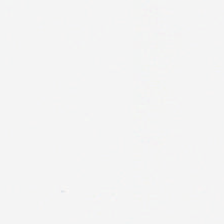H&E-stained tissue section — Classification — no tissue.
